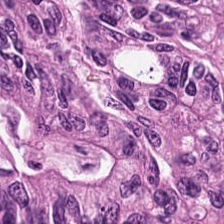Stain: H&E stain.
Tile size: 224×224 px patch.
Classification: colorectal adenocarcinoma.
